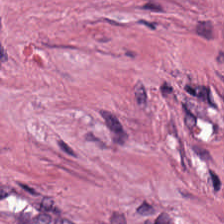H&E stain — The predominant tissue is cancer-associated stroma.
